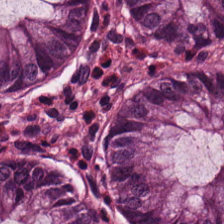Whole-slide-image patch; H&E stain. Q: What is shown in this field?
A: This is non-neoplastic colon mucosa.
